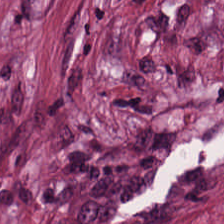Stain: hematoxylin and eosin.
Tissue: tumor-associated stroma.
